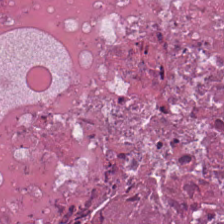H&E-stained tissue section; 20× equivalent magnification; FFPE tissue section — Q: What is shown here?
A: Debris.
